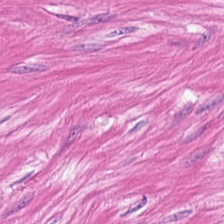H&E; brightfield microscopy.
This field is smooth-muscle tissue.
